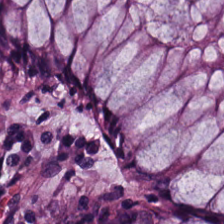Brightfield; FFPE; H&E stain.
Non-neoplastic colon mucosa.
